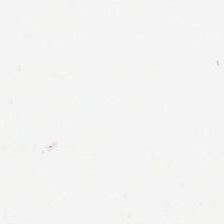H&E. This field is background (no tissue).
